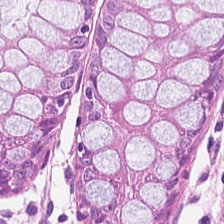H&E stain.
Q: Classify this patch.
A: The field shows normal colonic mucosa.
